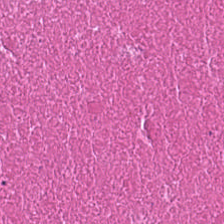H&E stain. 224×224 px tile — Classification: necrotic debris.
